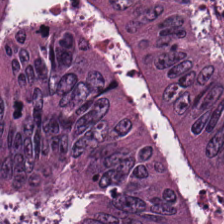The tissue here is colorectal adenocarcinoma.
